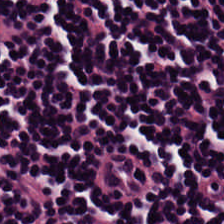Hematoxylin and eosin.
Classification: lymphocytic infiltrate.
